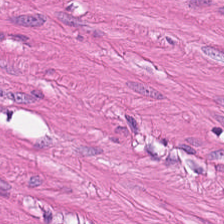H&E-stained tissue section — The predominant tissue is muscularis.
